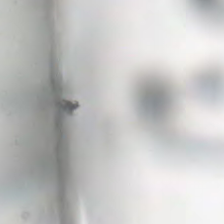Stain: hematoxylin-and-eosin stained section.
Tile size: 224×224 px patch.
Content: empty background.
